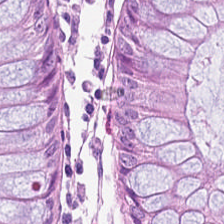0.5 µm per pixel. 224×224 px patch. H&E stain. Predominant tissue — normal colon mucosa.
